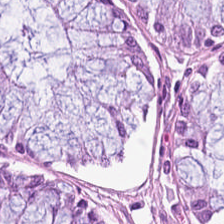Hematoxylin-and-eosin stained section; 20× equivalent magnification; whole-slide-image patch.
Q: What is shown here?
A: It is benign colonic mucosa.
